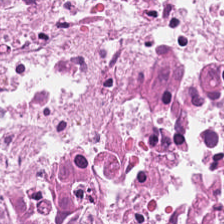WSI patch. 224×224 px tile. H&E. Tissue = necrotic debris.
